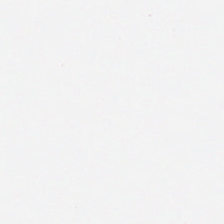Empty background.
